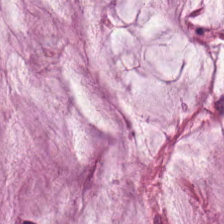H&E stain. The classification is mucin.
